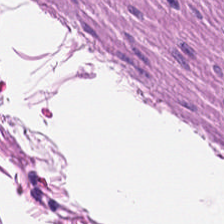The classification is muscularis.
